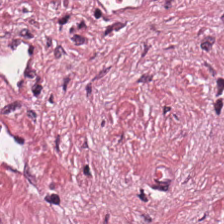H&E stain.
Tissue class — tumor-associated stroma.
